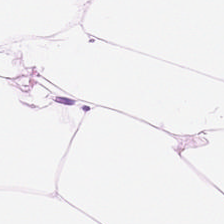Showing adipose.
